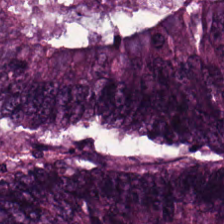This field is adenocarcinoma.
